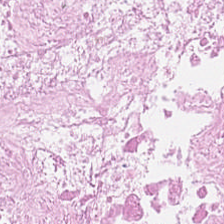The tissue is debris.
